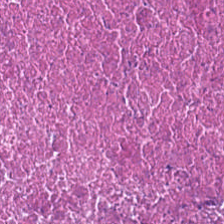Hematoxylin and eosin — Impression → necrotic debris.
